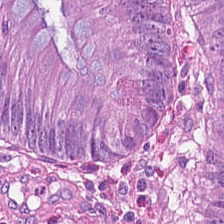H&E stain — Predominant tissue: malignant epithelium.
